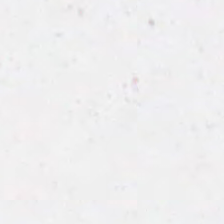Hematoxylin-and-eosin stained section; formalin-fixed paraffin-embedded section — Background — no tissue in this field.
